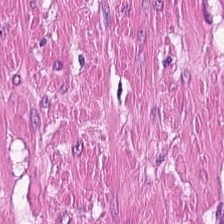0.5 microns per pixel; H&E stain.
Tissue: smooth-muscle tissue.
